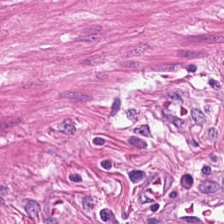H&E-stained tissue section.
Q: Identify the tissue.
A: Smooth-muscle tissue.
